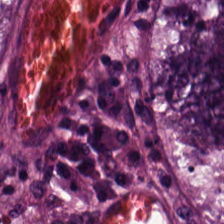H&E-stained tissue section — The tissue is colorectal adenocarcinoma epithelium.
